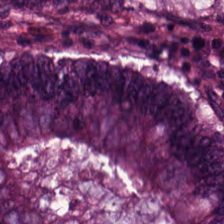Stain: H&E stain.
Tissue type: tumor epithelium.
